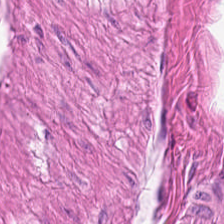Q: Identify the tissue.
A: The field shows smooth-muscle tissue.
